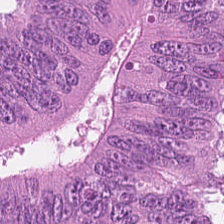Hematoxylin and eosin — {"tissue_type": "tumor epithelium"}
